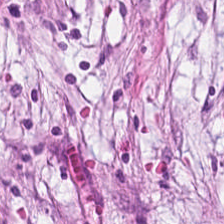The predominant tissue is tumor-associated stroma.
